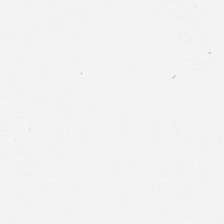Formalin-fixed paraffin-embedded section. Hematoxylin-and-eosin stained section. The classification is no tissue.
